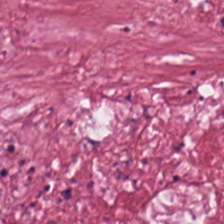Hematoxylin-and-eosin stained section; 0.5 µm per pixel. The tissue here is cancer-associated stroma.
